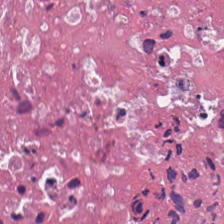Stain: H&E-stained tissue section.
Tissue class: cellular debris.
